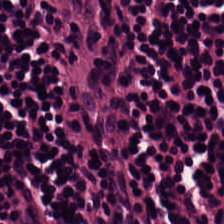The predominant tissue is lymphoid infiltrate.
